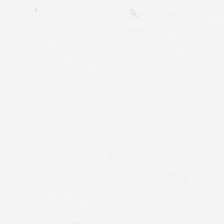H&E.
Content: background.
